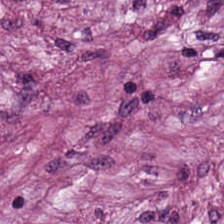Finding → desmoplastic stroma.
